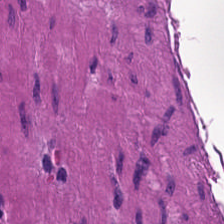H&E-stained tissue section. 224×224 px patch. Showing smooth-muscle tissue.
